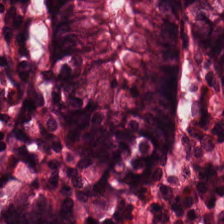WSI patch · H&E-stained tissue section — Predominantly normal colon mucosa.
